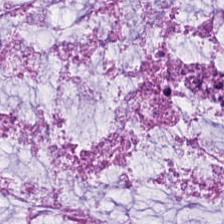Hematoxylin-and-eosin stained section · formalin-fixed paraffin-embedded section · 224×224 pixel tile — Finding → mucus.
